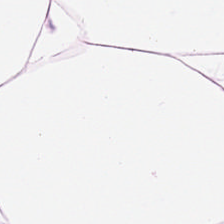The tissue class is adipose.
